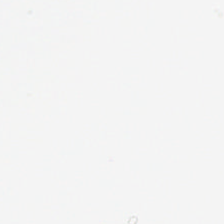Formalin-fixed paraffin-embedded section. H&E-stained tissue section — Field content: empty background.
